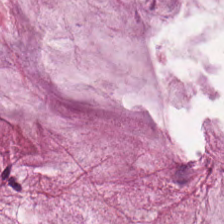H&E.
Tissue class = mucus.
